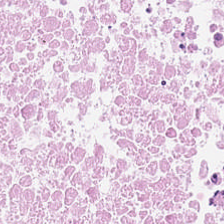H&E stain. 224×224 pixel tile. {"tissue_type": "cellular debris"}
